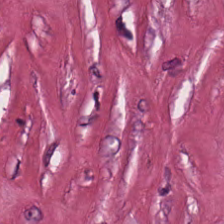Classification: cancer-associated stroma.
